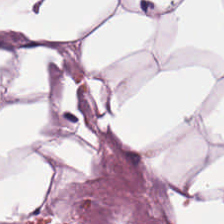H&E-stained tissue section. Histology → adipocytes.
